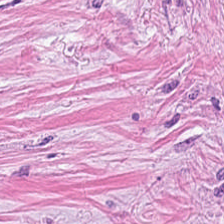The predominant tissue is desmoplastic stroma.
